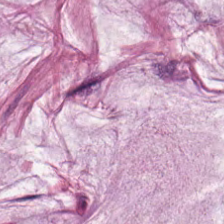H&E-stained tissue section. Predominantly extracellular mucin.
